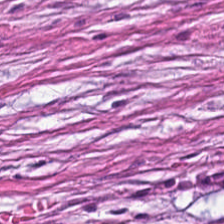Stain: hematoxylin-and-eosin stained section.
Preparation: FFPE tissue section.
Tissue class: tumor stroma.
